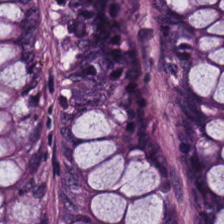Hematoxylin-and-eosin stained section — The predominant tissue is non-neoplastic colon mucosa.
